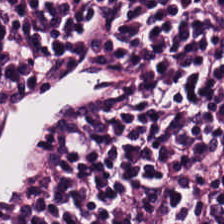Hematoxylin-and-eosin stained section; 224×224 pixel tile; formalin-fixed paraffin-embedded section — Q: What does this patch show?
A: It is lymphocytic infiltrate.
